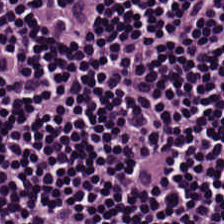Brightfield; H&E — This patch shows lymphocyte aggregate.
